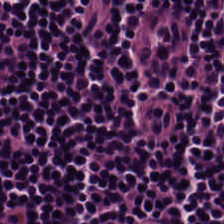Hematoxylin-and-eosin stained section; 224×224 px patch. This patch shows lymphocytic infiltrate.
